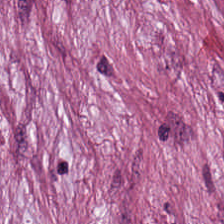H&E stain — Predominantly tumor stroma.
